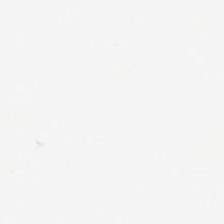H&E-stained tissue section.
Histology — no tissue.
